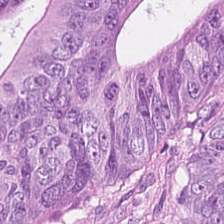H&E-stained tissue section; brightfield microscopy. This field is malignant epithelium.
